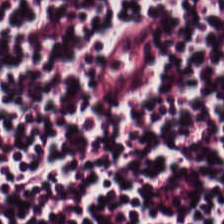Tissue class — lymphocyte aggregate.
